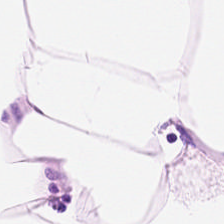224×224 px tile; H&E; 0.5 µm/px — Predominant tissue: adipose tissue.
